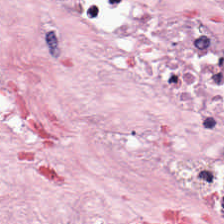Hematoxylin-and-eosin stained section. Q: What is shown in this field?
A: This is desmoplastic stroma.
